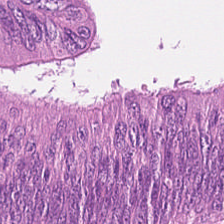Hematoxylin-and-eosin stained section — Tissue type: colorectal adenocarcinoma epithelium.
